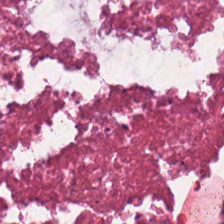Stain: hematoxylin and eosin.
Acquisition: brightfield.
Preparation: FFPE tissue section.
Predominant tissue: debris.
